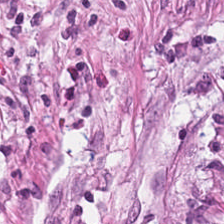Hematoxylin and eosin; 20× equivalent magnification.
Finding — desmoplastic stroma.
